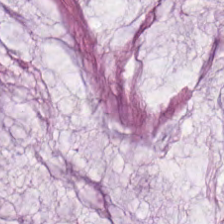The tissue is extracellular mucin.
